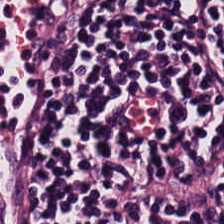224×224 pixel tile · H&E stain · 0.5 microns per pixel — Showing lymphocytes.
